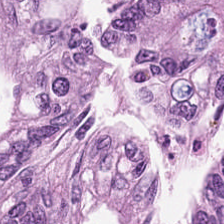H&E-stained tissue section — Tissue — colorectal adenocarcinoma.
